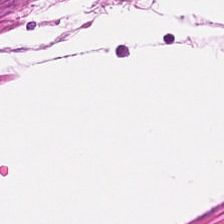Hematoxylin-and-eosin stained section. The predominant tissue is muscularis.
